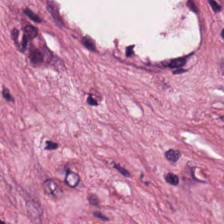FFPE. 224×224 pixel tile. Hematoxylin and eosin — Tissue: cancer-associated stroma.
